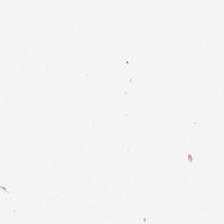Hematoxylin-and-eosin stained section — Classification = background (no tissue).
